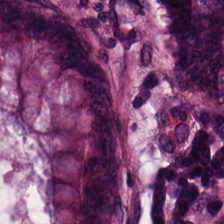H&E-stained tissue section · formalin-fixed paraffin-embedded section · 224×224 px tile. Showing normal colonic mucosa.
